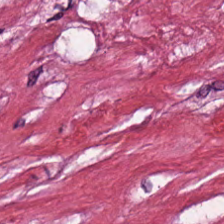WSI patch. Hematoxylin and eosin. FFPE — The tissue is tumor-associated stroma.
